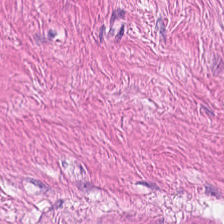Stain: H&E.
Tissue: smooth muscle.
